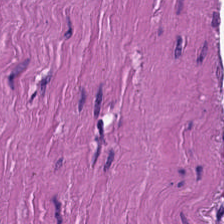H&E stain · 0.5 microns per pixel.
The predominant tissue is muscularis.
